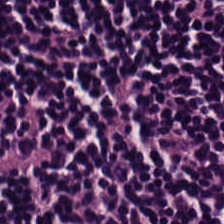Tissue class = lymphoid infiltrate.
